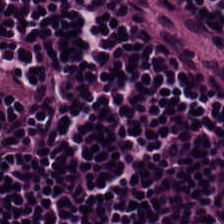H&E; 20× equivalent magnification; FFPE tissue section. Q: What type of tissue is this?
A: Lymphocyte aggregate.
